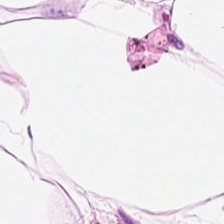H&E.
Impression — fat tissue.
